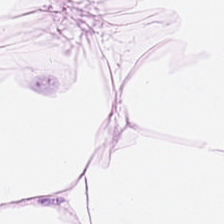H&E-stained tissue section; 224×224 px patch. Adipose.
